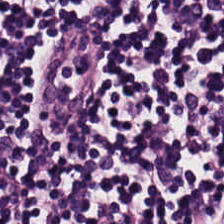Formalin-fixed paraffin-embedded section. Hematoxylin and eosin.
Predominantly lymphocytes.
